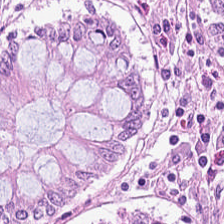Finding — non-neoplastic colon mucosa.
